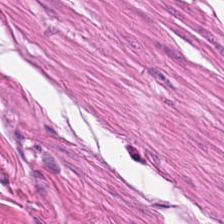Hematoxylin-and-eosin stained section. Showing smooth muscle.
